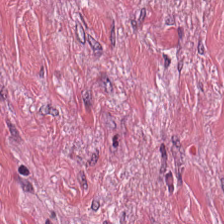Stain: hematoxylin and eosin.
Tissue class: cancer-associated stroma.
